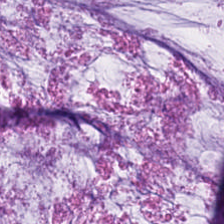Tissue class = extracellular mucin.
